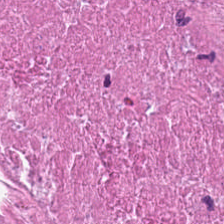H&E-stained tissue section — This field is debris.
